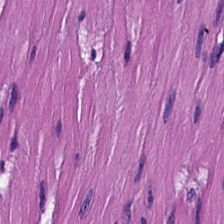Hematoxylin-and-eosin stained section. Q: Identify the tissue.
A: This is muscularis.
